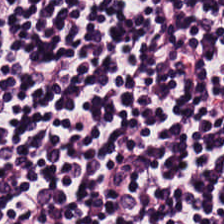H&E stain. Showing lymphocytic infiltrate.
